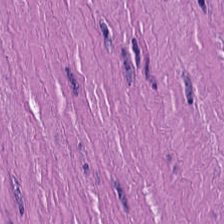H&E — Tissue type — smooth muscle.
